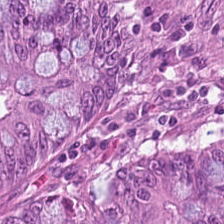FFPE tissue section; H&E-stained tissue section — Classification — tumor epithelium.
